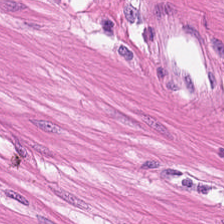H&E stain; 224×224 pixel tile. Q: What tissue is shown?
A: This is smooth-muscle tissue.
